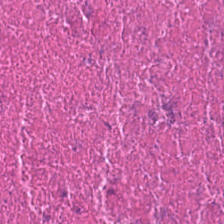Stain: H&E.
Predominant tissue: necrotic debris.
